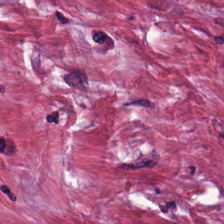WSI patch; hematoxylin and eosin — This field is cancer-associated stroma.
